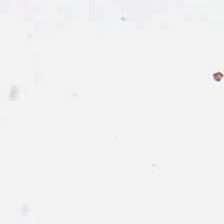H&E stain. This patch shows background (no tissue).
